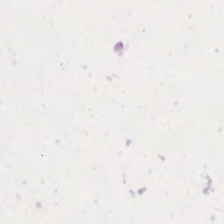Stain: H&E-stained tissue section.
Classification: background (no tissue).
